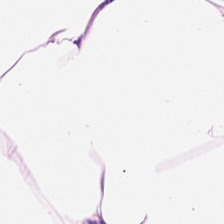Whole-slide-image patch. H&E stain.
This field is adipose.
